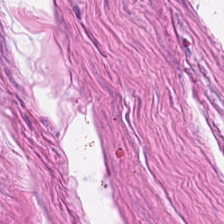224×224 px patch · H&E — Predominant tissue = smooth-muscle tissue.
